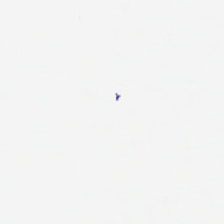Stain: hematoxylin and eosin.
Tile size: 224×224 pixel tile.
Content: empty background.
